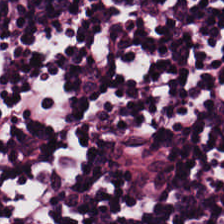H&E; whole-slide-image patch. The tissue here is lymphoid infiltrate.
